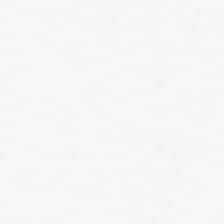FFPE; hematoxylin and eosin.
Classification — no tissue.
